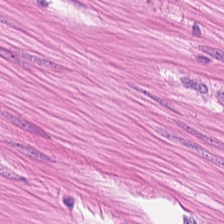Hematoxylin-and-eosin section: smooth-muscle tissue.
